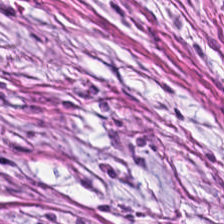The tissue here is cancer-associated stroma.
